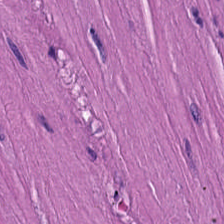H&E stain. Q: Identify the tissue.
A: The field shows muscularis.
